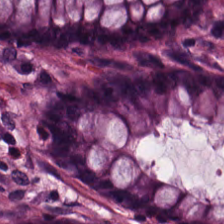H&E-stained section; the field shows normal colon mucosa.
